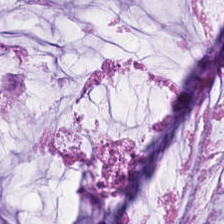Brightfield microscopy · H&E stain. Predominantly mucus.
